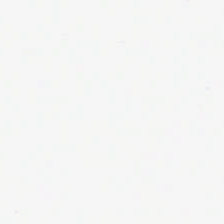H&E stain. The field content is background.
